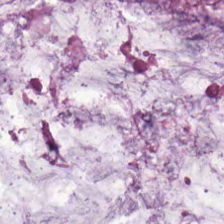Stain: H&E-stained tissue section.
Classification: mucin.
